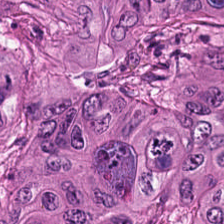Hematoxylin-and-eosin stained section. Formalin-fixed paraffin-embedded section — The tissue here is tumor epithelium.
